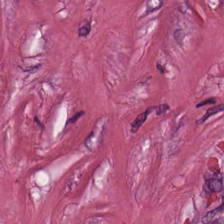Hematoxylin-and-eosin stained section. {"tissue_type": "cancer-associated stroma"}
